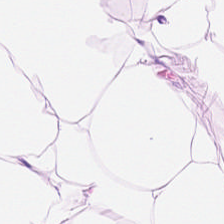H&E. FFPE tissue section — Predominantly fat tissue.
